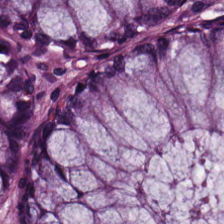Q: What tissue type is shown here?
A: It is non-neoplastic colon mucosa.
